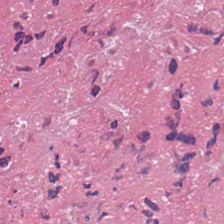Stain: H&E.
Acquisition: WSI patch.
Tissue class: debris.
